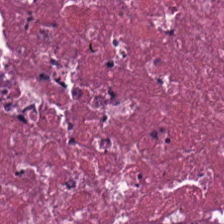Hematoxylin and eosin — Q: Classify this patch.
A: It is debris.
